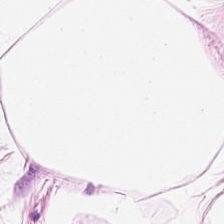H&E stain.
Q: What tissue is shown?
A: The field shows adipose tissue.
